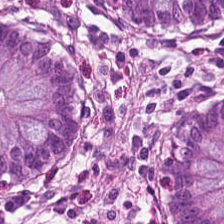Hematoxylin-and-eosin stained section · whole-slide-image patch — Q: Identify the tissue.
A: Normal colon mucosa.
